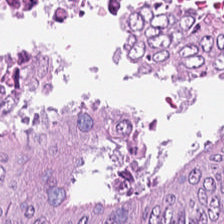Q: What is shown here?
A: It is tumor epithelium.
